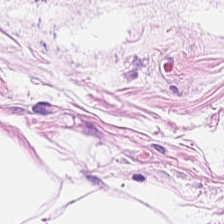Stain: H&E stain.
Acquisition: WSI patch.
Tissue type: adipose.
